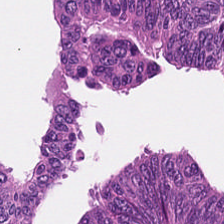224×224 px tile. H&E stain. FFPE tissue section.
Tissue — adenocarcinoma.
